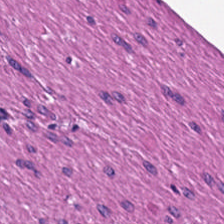Hematoxylin-and-eosin stained section · 224×224 px patch.
This field is smooth muscle.
